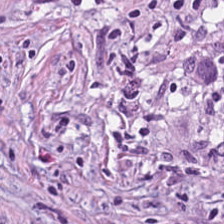Stain: H&E-stained tissue section.
Resolution: 0.5 microns per pixel.
Tissue class: tumor-associated stroma.
